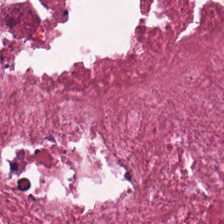WSI patch. 224×224 px patch. Hematoxylin and eosin — The predominant tissue is necrotic debris.
